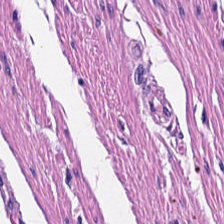Classification — smooth muscle.
